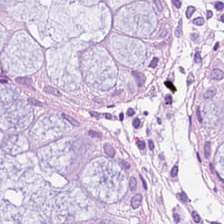Formalin-fixed paraffin-embedded section; H&E. Tissue class = normal colonic mucosa.
